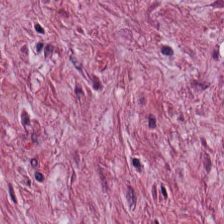0.5 µm/px; 224×224 px patch; hematoxylin and eosin — Showing cancer-associated stroma.
